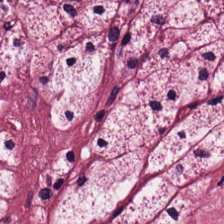H&E-stained tissue section. FFPE. 224×224 px patch.
Predominantly cancer-associated stroma.
